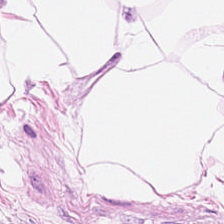Stain: H&E stain.
Tissue class: adipocytes.
